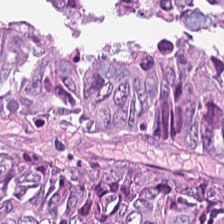Brightfield · H&E-stained tissue section — Colorectal adenocarcinoma.
